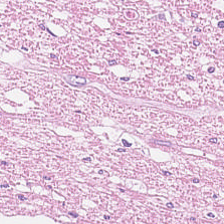20× equivalent magnification. Hematoxylin-and-eosin stained section — Impression — muscularis.
